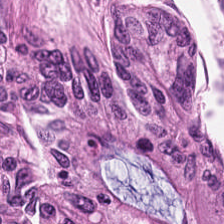H&E stain — {"tissue_type": "tumor epithelium"}
